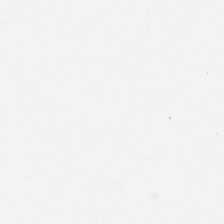H&E. Q: What is shown in this field?
A: It is no tissue.
